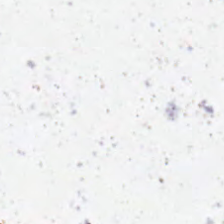H&E — Field content: background.
